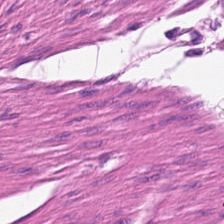The tissue here is muscularis.
